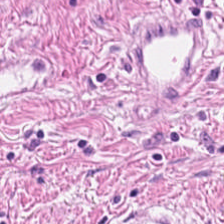Brightfield microscopy · 224×224 pixel tile · H&E — Q: What is shown here?
A: Smooth muscle.
